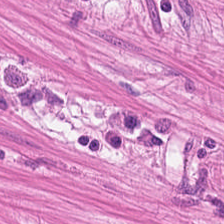H&E. The predominant tissue is smooth muscle.
